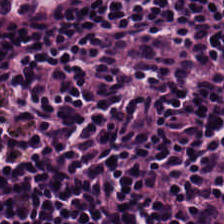H&E stain. FFPE.
The tissue here is lymphoid infiltrate.
